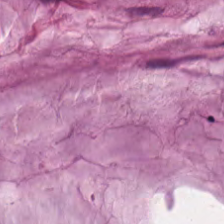H&E-stained tissue section.
Tissue type — mucin.
